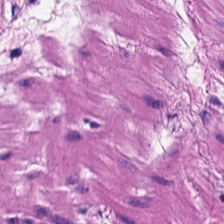Hematoxylin-and-eosin stained section; 224×224 px tile. This field is smooth muscle.
